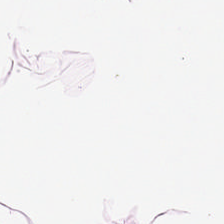H&E stain — Fat tissue.
